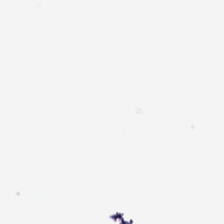FFPE tissue section · H&E stain — No tissue present; background only.
